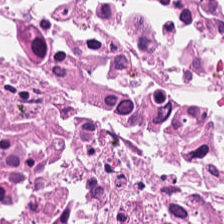H&E stain; 20× equivalent magnification — The tissue type is cellular debris.
